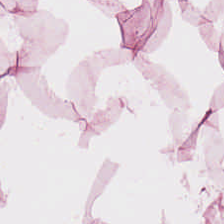The classification is fat tissue.
